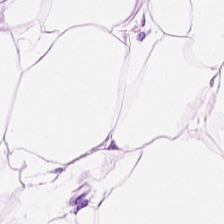Hematoxylin-and-eosin stained section · formalin-fixed paraffin-embedded section.
Tissue: fat tissue.
